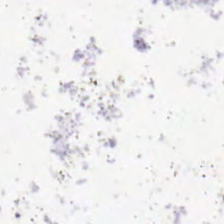0.5 µm per pixel · H&E. Finding — empty background.
